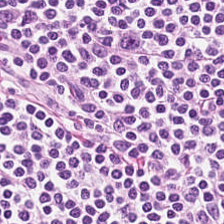H&E-stained tissue section — Q: What is shown here?
A: It is lymphocyte aggregate.
